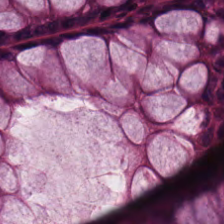Stain: H&E.
Preparation: FFPE.
Resolution: 0.5 µm/px.
Predominant tissue: benign colonic mucosa.
